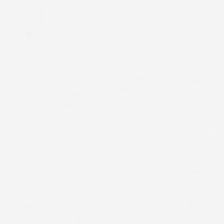0.5 microns per pixel. Brightfield microscopy. H&E stain.
{"content": "empty background"}
